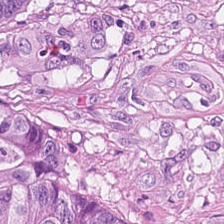Q: What is shown here?
A: This is malignant epithelium.
